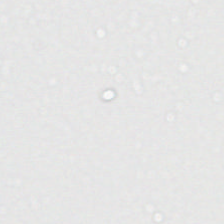H&E-stained tissue section. 0.5 µm/px.
Q: What does this patch show?
A: The field shows background (no tissue).
